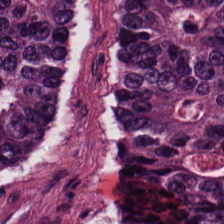H&E-stained tissue section — This patch shows malignant epithelium.
